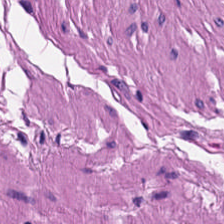Brightfield · H&E-stained tissue section — {"tissue_type": "muscularis"}
